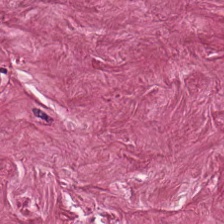H&E · whole-slide-image patch.
This patch shows tumor stroma.
